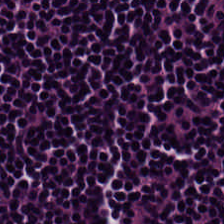H&E-stained tissue section.
This field is lymphocytic infiltrate.
